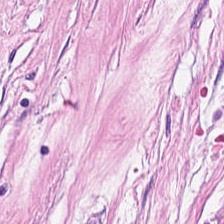0.5 µm/px. H&E. 224×224 pixel tile — Finding → tumor stroma.
